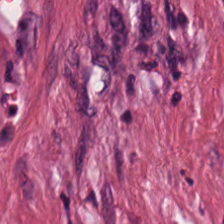Q: What type of tissue is this?
A: The field shows tumor stroma.
